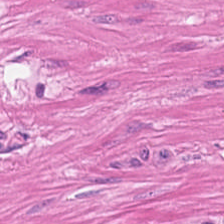Hematoxylin and eosin; 0.5 µm/px; FFPE. Showing smooth muscle.
